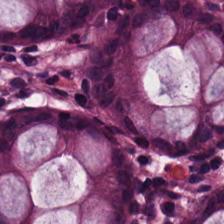Stain: H&E.
Resolution: 0.5 µm/px.
Classification: normal colonic mucosa.
